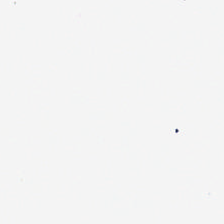FFPE tissue section. H&E-stained tissue section — This patch shows empty background.
